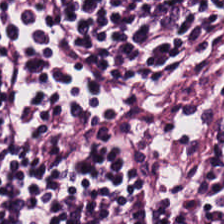FFPE; H&E-stained tissue section — This field is lymphoid infiltrate.
